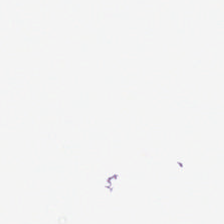No tissue present; background only.
